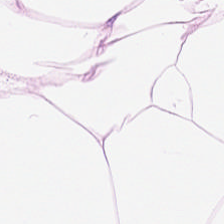Hematoxylin-and-eosin stained section.
Predominantly adipose.
